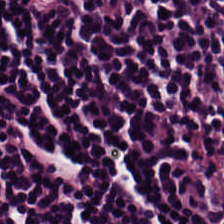Hematoxylin and eosin — The tissue here is lymphocyte aggregate.
